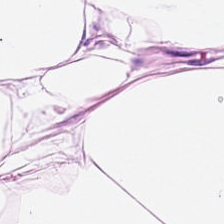Stain: hematoxylin and eosin.
Tissue: fat tissue.
